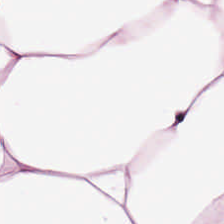H&E — Finding → fat tissue.
